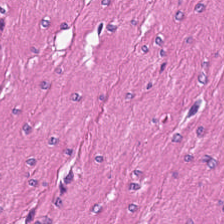0.5 µm/px. H&E — Finding — smooth muscle.
